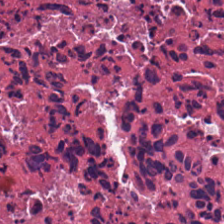0.5 µm per pixel · H&E.
The tissue type is necrotic debris.
